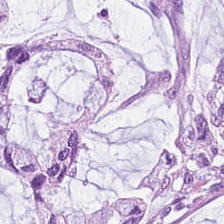Stain: H&E-stained tissue section.
Preparation: FFPE tissue section.
Predominant tissue: mucus.
